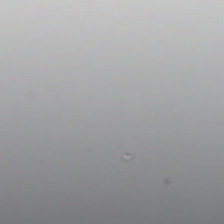H&E stain. 224×224 pixel tile — Q: What does this patch show?
A: The field shows background (no tissue).
